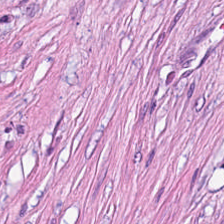Hematoxylin and eosin; 0.5 microns per pixel.
The tissue here is cancer-associated stroma.
